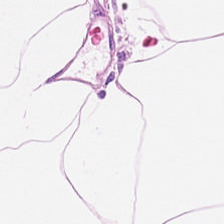H&E — Impression → adipose.
